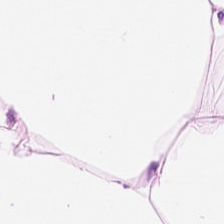H&E-stained tissue section. Classification: adipose.
